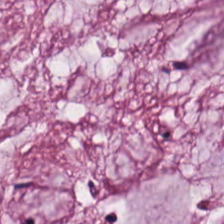H&E — Tissue type: extracellular mucin.
